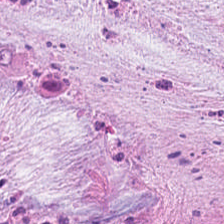H&E-stained tissue section. This patch shows desmoplastic stroma.
